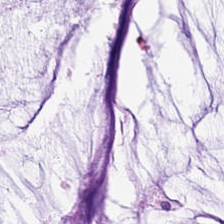Brightfield microscopy. H&E stain. The tissue here is extracellular mucin.
